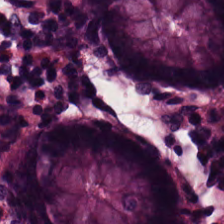Hematoxylin-and-eosin stained section. Tissue class — benign colonic mucosa.
